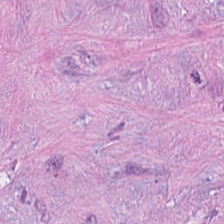H&E-stained tissue section. 20× equivalent magnification.
This field is desmoplastic stroma.
